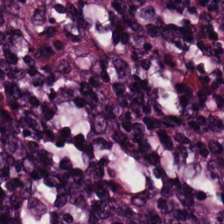20× equivalent magnification; H&E-stained tissue section. {"tissue_type": "lymphocytic infiltrate"}
